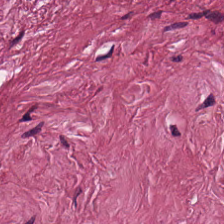H&E. 0.5 microns per pixel. 224×224 pixel tile.
The tissue here is cancer-associated stroma.
